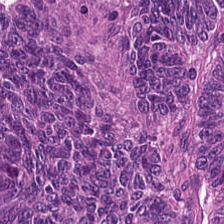FFPE · H&E · 224×224 px tile. Impression — malignant epithelium.
